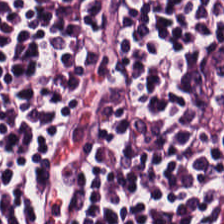Stain: H&E-stained tissue section.
Tissue class: lymphocytes.
